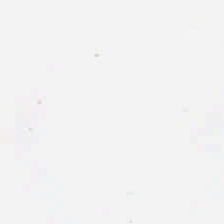Hematoxylin and eosin.
No tissue present; background only.
